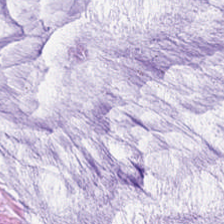Hematoxylin-and-eosin stained section — Tissue: mucus.
